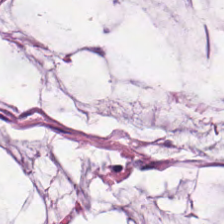Q: What tissue is shown?
A: This is mucus.
